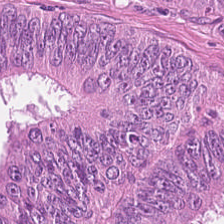Stain: H&E.
Tissue type: malignant epithelium.
